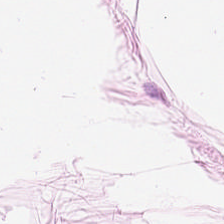H&E.
This field is fat tissue.
